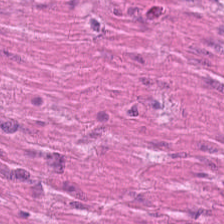H&E. Tissue type — smooth muscle.
